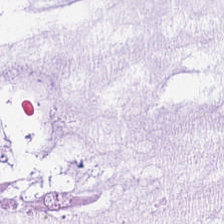H&E. 224×224 px tile. {"tissue_type": "extracellular mucin"}
